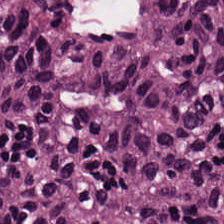H&E stain. FFPE tissue section. Whole-slide-image patch.
Tumor epithelium.
